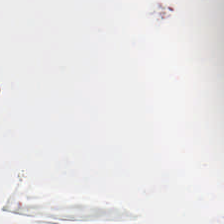Q: Classify this patch.
A: The field shows background.
